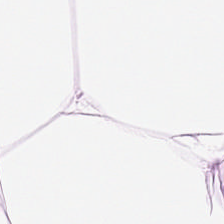Hematoxylin-and-eosin stained section.
The tissue here is adipocytes.
